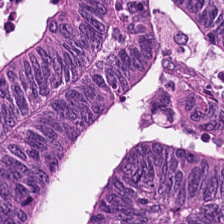H&E stain — Predominantly tumor epithelium.
